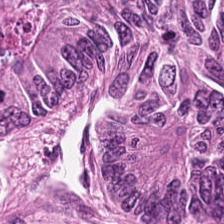Stain: H&E-stained tissue section.
Resolution: 0.5 microns per pixel.
Tissue: malignant epithelium.
